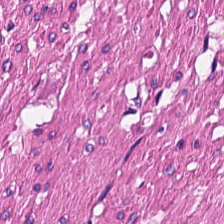224×224 px tile · brightfield microscopy · H&E — Tissue: muscularis.
